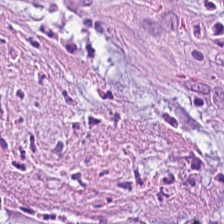0.5 microns per pixel; hematoxylin-and-eosin stained section. Histology → tumor-associated stroma.
